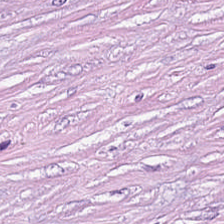H&E stain.
The predominant tissue is desmoplastic stroma.
